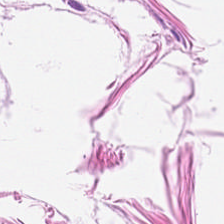H&E. Predominant tissue: adipose.
